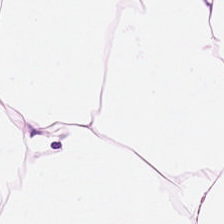Hematoxylin and eosin — This patch shows fat tissue.
